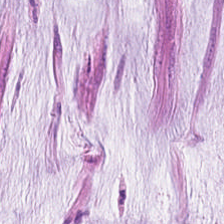FFPE tissue section · H&E.
Tissue type: mucus.
